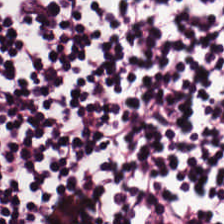224×224 px patch; hematoxylin-and-eosin stained section; WSI patch.
Q: What tissue is shown?
A: This is lymphocytes.
